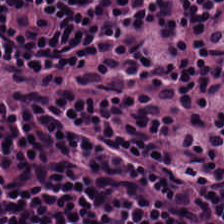Tissue class = lymphocytic infiltrate.
